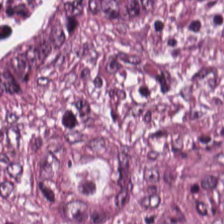Stain: hematoxylin and eosin.
Preparation: formalin-fixed paraffin-embedded section.
Tissue type: malignant epithelium.
